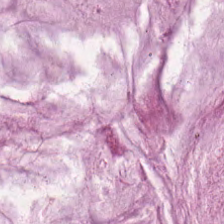H&E-stained section; the field shows mucin.
